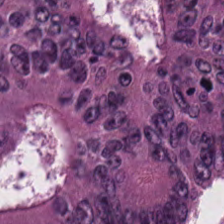H&E · 224×224 pixel tile. Predominantly adenocarcinoma.
